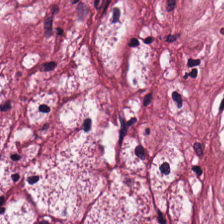FFPE. Brightfield microscopy. H&E stain — Tissue = desmoplastic stroma.
